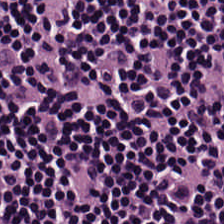224×224 px tile; H&E; FFPE — The predominant tissue is lymphocytic infiltrate.
